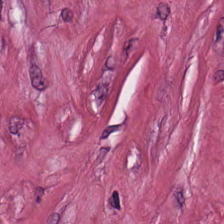H&E-stained tissue section. Whole-slide-image patch.
Predominant tissue — tumor stroma.
